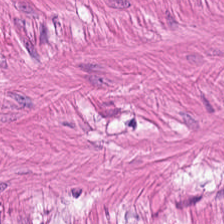224×224 px patch · hematoxylin and eosin — Impression → smooth-muscle tissue.
